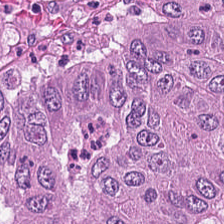Stain: H&E.
Tissue: adenocarcinoma.
